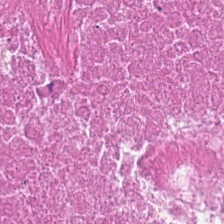H&E-stained tissue section showing debris.
